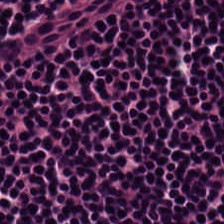Hematoxylin and eosin.
Q: What is shown here?
A: Lymphocytes.
